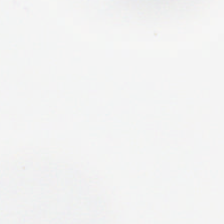Stain: H&E stain.
Content: background.
